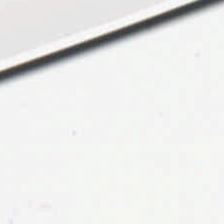Stain: H&E.
Content: background (no tissue).
